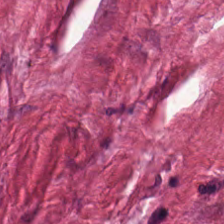H&E stain; 20× equivalent magnification; 224×224 px tile.
Predominant tissue: desmoplastic stroma.
